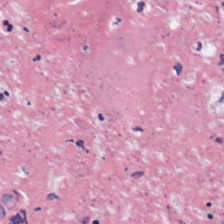H&E; FFPE tissue section — The tissue type is cellular debris.
